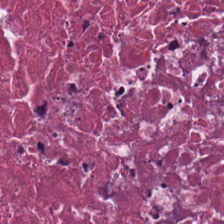Hematoxylin and eosin; whole-slide-image patch; 20× equivalent magnification. Tissue type — debris.
